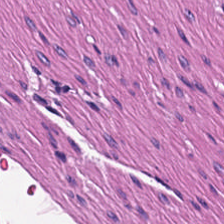Hematoxylin-and-eosin stained section.
Q: What type of tissue is this?
A: Smooth-muscle tissue.
